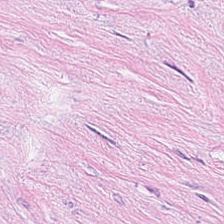H&E-stained tissue section. 20× equivalent magnification.
Predominantly desmoplastic stroma.
